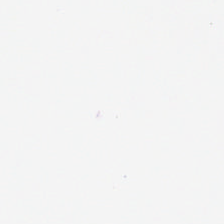H&E.
Histology — no tissue.
